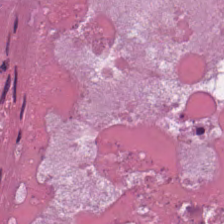Tissue type = debris.
